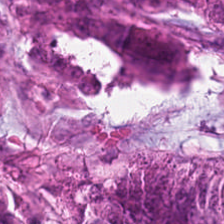H&E. Tissue: tumor epithelium.
